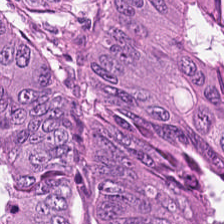FFPE tissue section. H&E-stained tissue section. Impression → malignant epithelium.
